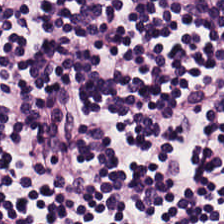224×224 px tile · H&E stain — Predominantly lymphoid infiltrate.
